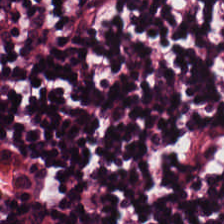Formalin-fixed paraffin-embedded section. 224×224 px patch. H&E stain.
The tissue type is lymphoid infiltrate.
